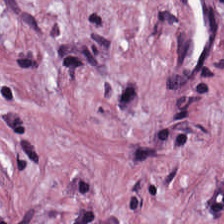The predominant tissue is desmoplastic stroma.
